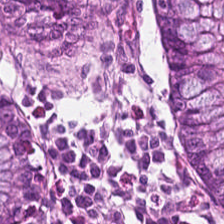Predominant tissue: non-neoplastic colon mucosa.
